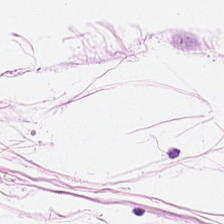This patch shows adipose tissue.
